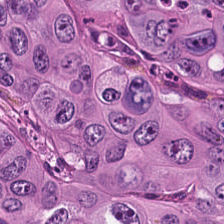Hematoxylin-and-eosin stained section · 224×224 px patch — Histology — tumor epithelium.
